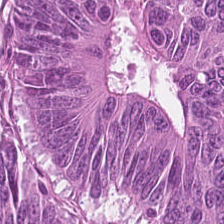Q: What does this patch show?
A: The field shows colorectal adenocarcinoma epithelium.
